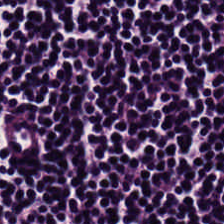H&E stain.
Tissue class = lymphocytes.
